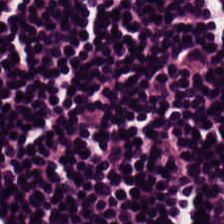Stain: H&E-stained tissue section.
Classification: lymphocyte aggregate.
